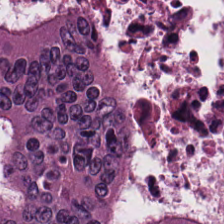H&E stain. Classification — colorectal adenocarcinoma.
